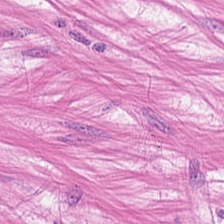Stain: H&E stain.
Tissue: muscularis.
